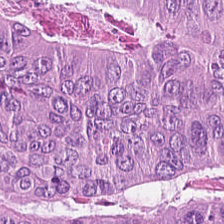{"tissue_type": "tumor epithelium"}
